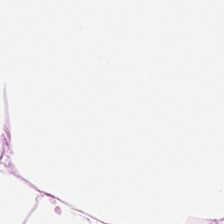Stain: hematoxylin-and-eosin stained section.
Tissue type: adipose tissue.
